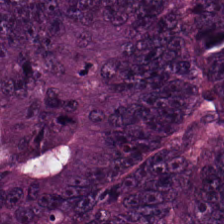Hematoxylin-and-eosin stained section; formalin-fixed paraffin-embedded section.
The classification is malignant epithelium.
